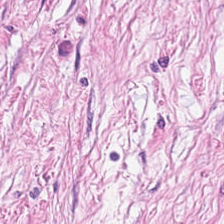Tissue = cancer-associated stroma.
